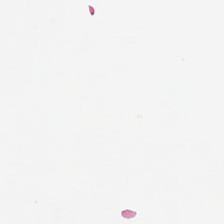This field is background (no tissue).
